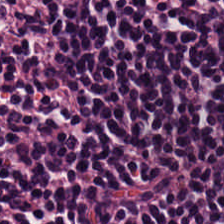H&E-stained tissue section showing lymphocyte aggregate.
